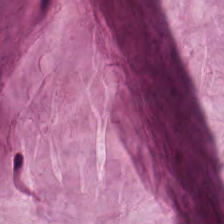Tissue = mucin.
